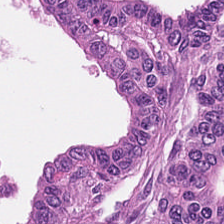H&E stain — Predominantly malignant epithelium.
